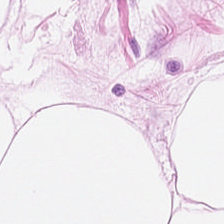H&E. Tissue class: adipose.
